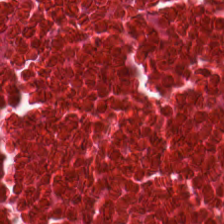H&E. Cellular debris.
